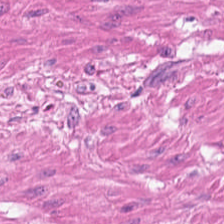Stain: H&E-stained tissue section.
Acquisition: WSI patch.
Tissue class: muscularis.
